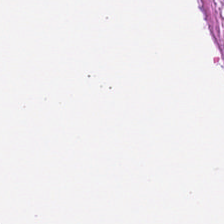Predominant tissue = smooth muscle.
